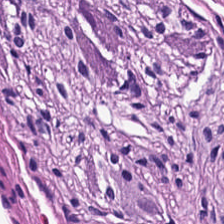Hematoxylin and eosin.
Q: What is shown here?
A: It is muscularis.
